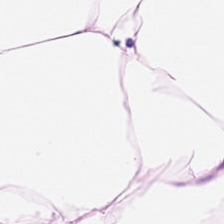Brightfield; H&E stain — This patch shows adipose tissue.
